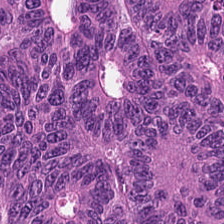Q: What is shown in this field?
A: This is tumor epithelium.
